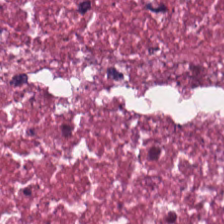H&E. The tissue type is necrotic debris.
